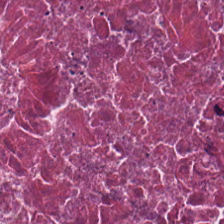Hematoxylin-and-eosin stained section.
Q: What is shown in this field?
A: The field shows necrotic debris.
